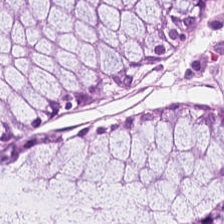H&E-stained section; the field shows normal colon mucosa.
